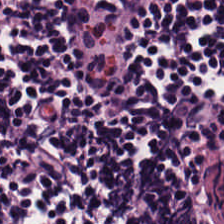H&E; FFPE tissue section; brightfield.
Finding — lymphocytes.
